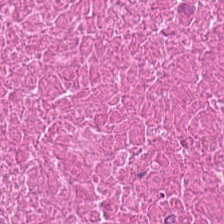H&E-stained section; the field shows debris.
